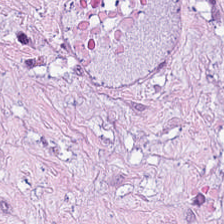Hematoxylin and eosin. The tissue here is tumor stroma.
